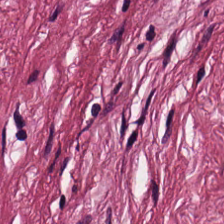Stain: hematoxylin and eosin.
Tissue class: cancer-associated stroma.
